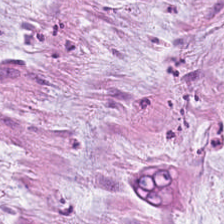Hematoxylin-and-eosin stained section; 224×224 pixel tile; brightfield microscopy.
Showing extracellular mucin.
